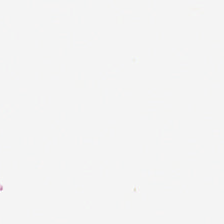H&E stain · 224×224 px patch · 0.5 µm/px. Background — no tissue in this field.
